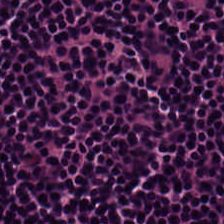Hematoxylin-and-eosin stained section. Brightfield — The tissue type is lymphocytic infiltrate.
